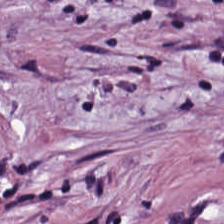Hematoxylin-and-eosin stained section; WSI patch. Predominantly tumor-associated stroma.
